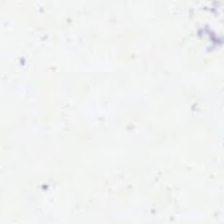Hematoxylin and eosin — Classification — empty background.
